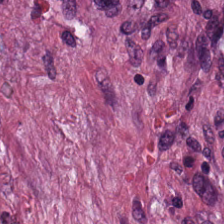224×224 px patch; hematoxylin and eosin; FFPE — Tissue type = tumor stroma.
